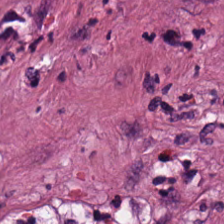WSI patch · H&E stain · formalin-fixed paraffin-embedded section. Q: Identify the tissue.
A: This is tumor-associated stroma.
